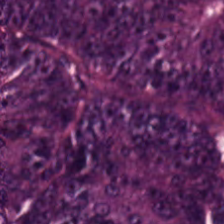H&E.
Finding — tumor epithelium.
